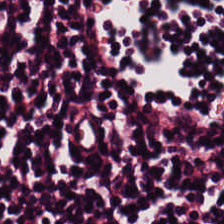Stain: hematoxylin and eosin.
Tissue type: lymphocytic infiltrate.
